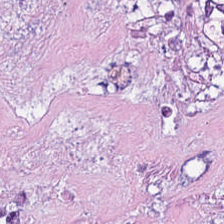Finding — cellular debris.
